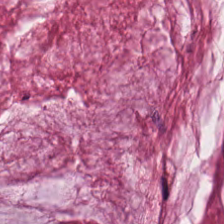Q: What is shown here?
A: This is mucin.
